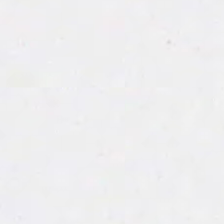H&E stain — Content = empty background.
